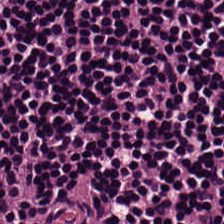H&E-stained tissue section.
Predominantly lymphocytic infiltrate.
